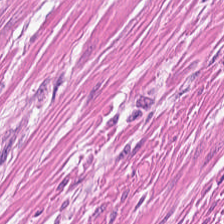H&E. Predominantly muscularis.
